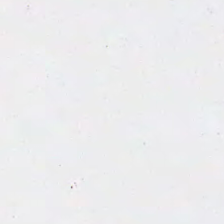0.5 microns per pixel. Formalin-fixed paraffin-embedded section. H&E stain. Content = empty background.
